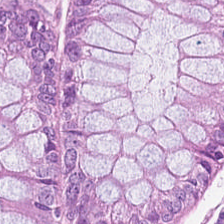FFPE tissue section; 224×224 pixel tile; H&E stain.
Predominant tissue = normal colonic mucosa.
